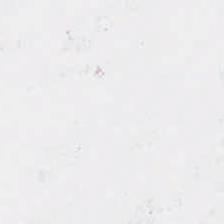0.5 µm per pixel; hematoxylin and eosin; whole-slide-image patch.
Field content — no tissue.
